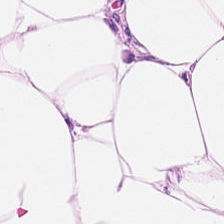Stain: H&E stain.
Tile size: 224×224 pixel tile.
Predominant tissue: adipocytes.
